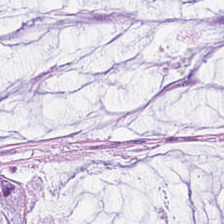Hematoxylin and eosin. The tissue type is mucin.
